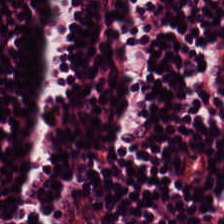Hematoxylin-and-eosin stained section · 0.5 µm/px. Q: What is shown here?
A: Lymphocyte aggregate.
